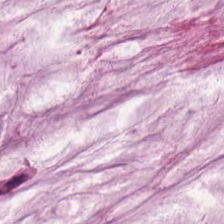0.5 µm per pixel. H&E stain. 224×224 px tile. This patch shows extracellular mucin.
